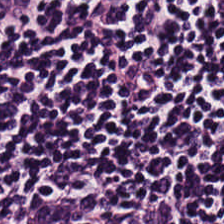0.5 µm per pixel · whole-slide-image patch · H&E-stained tissue section. This patch shows lymphocytes.
